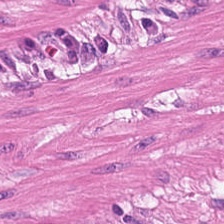Finding — smooth muscle.
